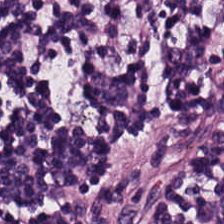Hematoxylin and eosin · FFPE tissue section · 224×224 px patch. The predominant tissue is lymphocytes.
